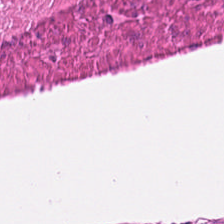0.5 µm per pixel; H&E.
Tissue type — muscularis.
